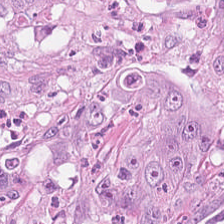Tissue class = tumor epithelium.
